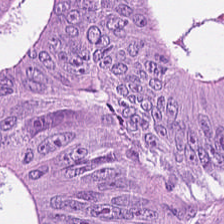Hematoxylin and eosin; FFPE tissue section. Tissue = colorectal adenocarcinoma epithelium.
